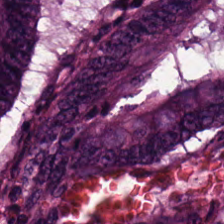Stain: H&E stain.
Resolution: 0.5 microns per pixel.
Classification: tumor epithelium.
